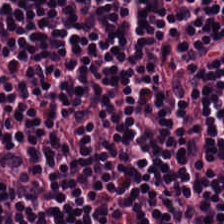Predominant tissue — lymphocytes.
